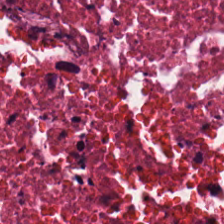H&E-stained tissue section; FFPE tissue section — Predominantly cellular debris.
